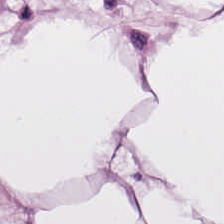20× equivalent magnification; H&E stain. The classification is fat tissue.
